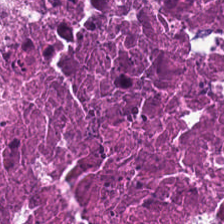Hematoxylin and eosin · brightfield.
{"tissue_type": "debris"}
